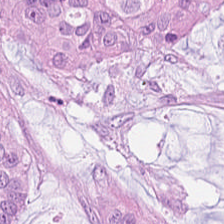H&E-stained tissue section.
Q: What tissue is shown?
A: The field shows tumor epithelium.
